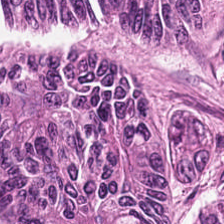{"tissue_type": "colorectal adenocarcinoma"}
